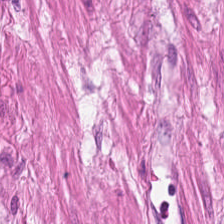H&E-stained tissue section. This patch shows muscularis.
